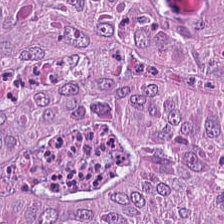H&E-stained tissue section — Predominantly colorectal adenocarcinoma.
